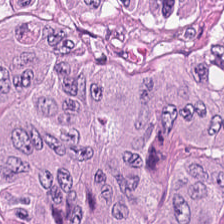Stain: H&E stain.
Resolution: 0.5 µm per pixel.
Predominant tissue: colorectal adenocarcinoma.
